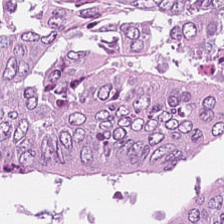H&E-stained tissue section. {"tissue_type": "tumor epithelium"}
